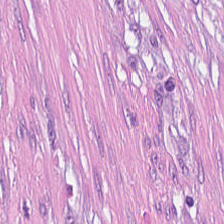H&E; FFPE tissue section.
This field is cancer-associated stroma.
